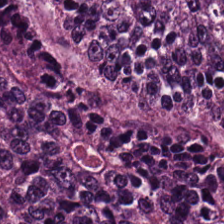FFPE; H&E.
Tumor epithelium.
